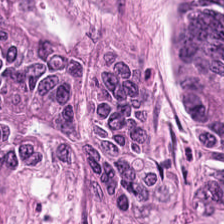Hematoxylin and eosin; WSI patch — {"tissue_type": "tumor epithelium"}
